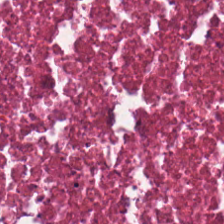Hematoxylin-and-eosin stained section · 20× equivalent magnification.
The predominant tissue is debris.
